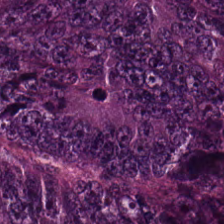This patch shows malignant epithelium.
